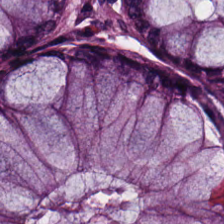224×224 px tile. H&E stain — Impression — benign colonic mucosa.
